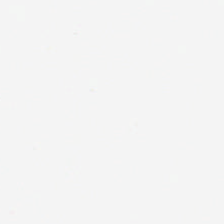No tissue.
